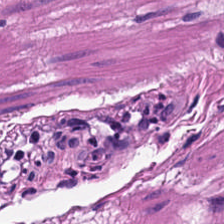Whole-slide-image patch · H&E — Predominantly smooth-muscle tissue.
